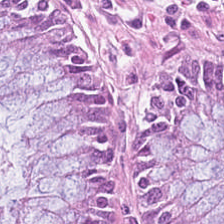Hematoxylin and eosin. Q: Classify this patch.
A: The field shows non-neoplastic colon mucosa.
